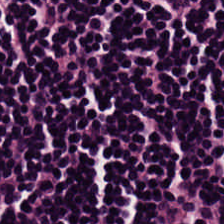H&E stain.
The classification is lymphocyte aggregate.
